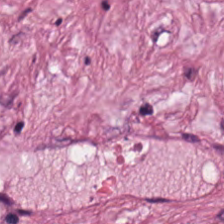H&E. Q: What tissue is shown?
A: The field shows tumor-associated stroma.
